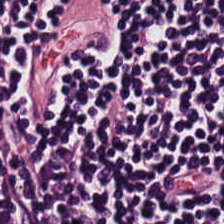Hematoxylin-and-eosin stained section — Predominantly lymphocyte aggregate.
